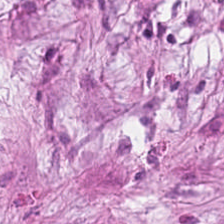H&E-stained tissue section showing desmoplastic stroma.
